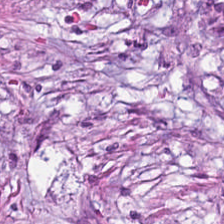H&E stain. FFPE. 224×224 px patch.
The tissue here is desmoplastic stroma.
